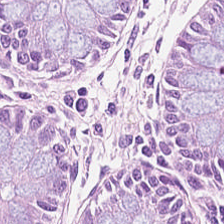Q: What is the predominant tissue type?
A: This is non-neoplastic colon mucosa.
